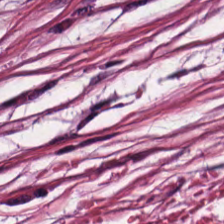Hematoxylin and eosin. Histology — desmoplastic stroma.
